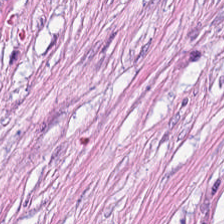Hematoxylin and eosin — Tissue class = tumor-associated stroma.
